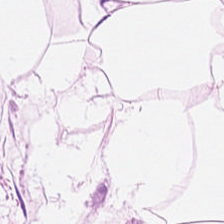0.5 microns per pixel · FFPE · H&E-stained tissue section. Classification — adipocytes.
